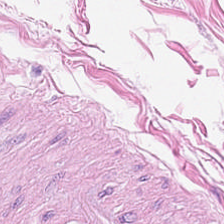H&E-stained tissue section — Showing adipocytes.
